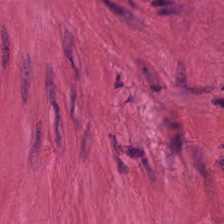Showing smooth-muscle tissue.
